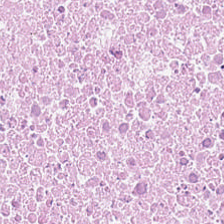Tissue class — debris.
